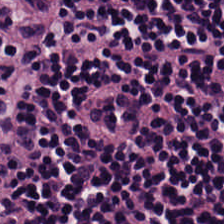H&E stain; 224×224 px tile.
Predominant tissue: lymphocytes.
